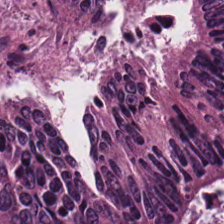This field is colorectal adenocarcinoma epithelium.
